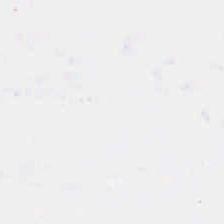Brightfield; hematoxylin-and-eosin stained section — Empty background.
